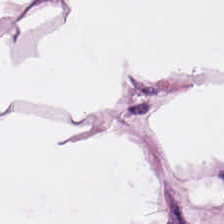H&E-stained tissue section — This patch shows adipose tissue.
